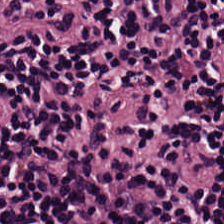Lymphocytic infiltrate.
